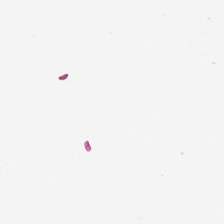0.5 µm/px · hematoxylin and eosin.
{"content": "background"}
